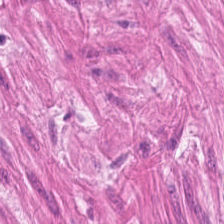Q: Identify the tissue.
A: The field shows smooth-muscle tissue.
